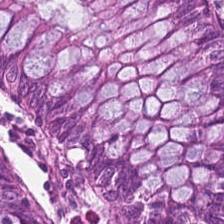The tissue here is non-neoplastic colon mucosa.
